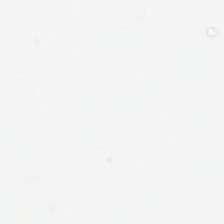H&E-stained tissue section.
Field content = background.
